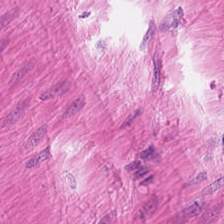Stain: H&E-stained tissue section.
Tissue type: smooth muscle.
